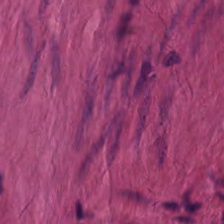Stain: H&E.
Tissue type: smooth-muscle tissue.
